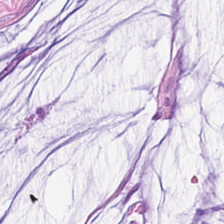Formalin-fixed paraffin-embedded section · H&E stain. Predominant tissue: extracellular mucin.
